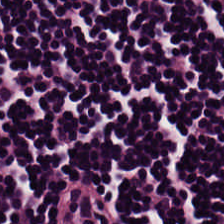Brightfield microscopy · hematoxylin and eosin — Q: What does this patch show?
A: This is lymphocyte aggregate.
